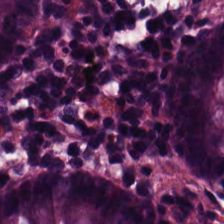Brightfield · hematoxylin and eosin — Predominantly normal colon mucosa.
